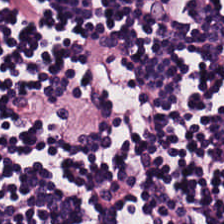Stain: H&E stain.
Preparation: formalin-fixed paraffin-embedded section.
Tissue class: lymphocyte aggregate.
